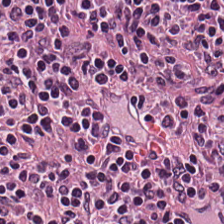Hematoxylin-and-eosin stained section. {"tissue_type": "lymphocyte aggregate"}
